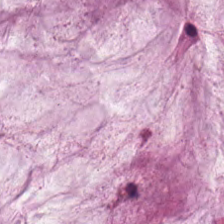H&E patch showing extracellular mucin.
